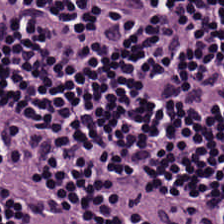0.5 µm per pixel · H&E stain. {"tissue_type": "lymphocytic infiltrate"}
